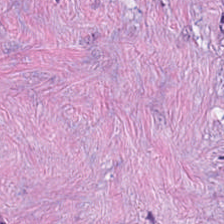Hematoxylin and eosin; FFPE.
{"tissue_type": "tumor-associated stroma"}
